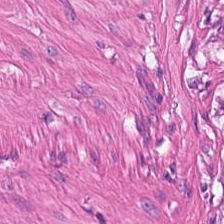H&E stain. WSI patch. 224×224 px patch.
This field is muscularis.
